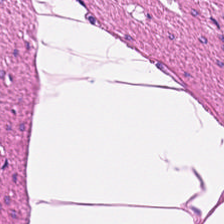Classification — smooth-muscle tissue.
